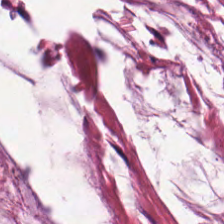224×224 pixel tile; H&E; 20× equivalent magnification.
Q: Identify the tissue.
A: It is extracellular mucin.
